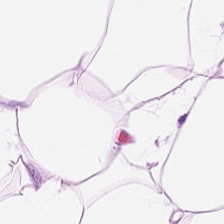Stain: H&E-stained tissue section.
Tissue: adipocytes.
